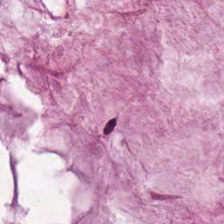H&E-stained tissue section · formalin-fixed paraffin-embedded section.
This field is mucin.
